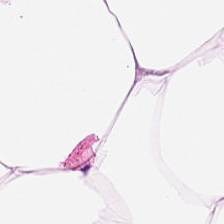0.5 microns per pixel · WSI patch · H&E-stained tissue section.
{"tissue_type": "adipocytes"}
